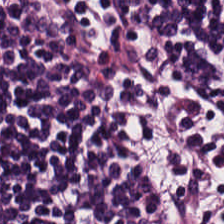224×224 pixel tile. Hematoxylin-and-eosin stained section. Impression → lymphocytic infiltrate.
